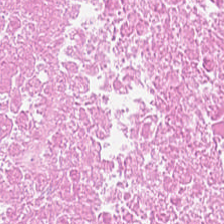H&E. 224×224 px patch. Classification: debris.
